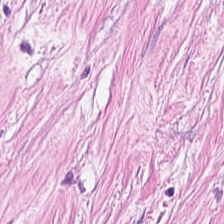Histology — cancer-associated stroma.
